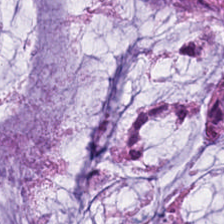H&E-stained tissue section; 0.5 µm per pixel.
The predominant tissue is extracellular mucin.
